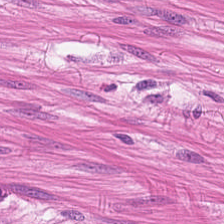Hematoxylin-and-eosin stained section. The tissue here is smooth muscle.
